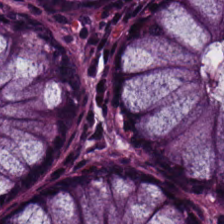H&E; 224×224 px tile. Q: What tissue is shown?
A: This is non-neoplastic colon mucosa.
